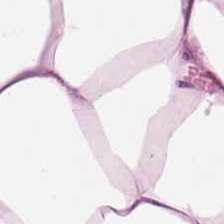Stain: H&E.
Tissue type: adipose tissue.
